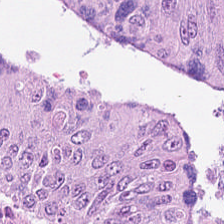{"tissue_type": "adenocarcinoma"}
